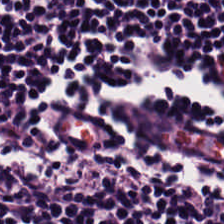Q: Identify the tissue.
A: It is lymphocyte aggregate.
